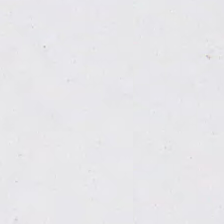H&E stain.
The content is background (no tissue).
